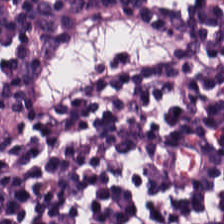Brightfield. Hematoxylin and eosin.
Lymphocytic infiltrate.
